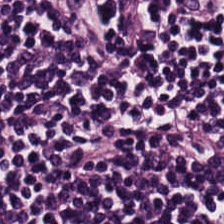H&E stain. Finding — lymphoid infiltrate.
